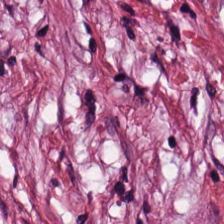224×224 px patch; H&E-stained tissue section.
The classification is desmoplastic stroma.
